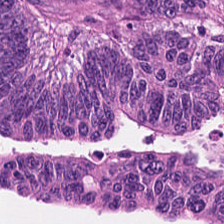H&E-stained tissue section. Showing colorectal adenocarcinoma epithelium.
